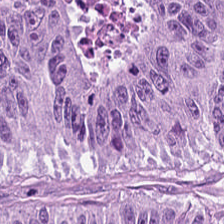FFPE tissue section; 224×224 px tile; hematoxylin-and-eosin stained section.
Tissue type — adenocarcinoma.
